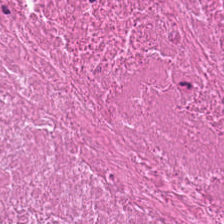224×224 pixel tile · H&E stain. {"tissue_type": "debris"}
